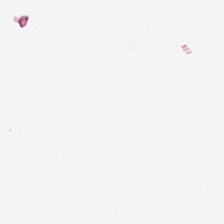H&E-stained tissue section; formalin-fixed paraffin-embedded section.
This field is background (no tissue).
